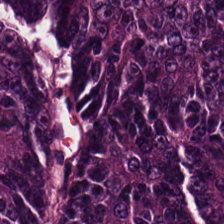H&E — Finding — malignant epithelium.
